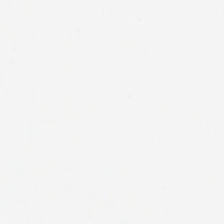Brightfield microscopy. 20× equivalent magnification. H&E stain — No tissue.
